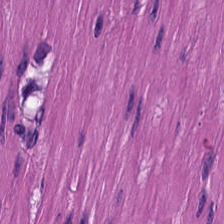Hematoxylin-and-eosin stained section — Predominant tissue: smooth-muscle tissue.
